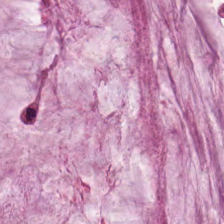H&E stain — The tissue here is mucus.
